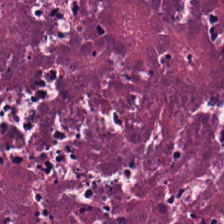H&E-stained tissue section.
Showing debris.
